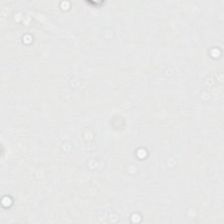H&E stain.
Field content: no tissue.
